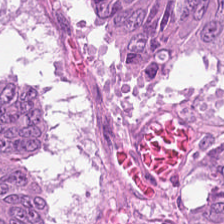Hematoxylin-and-eosin stained section. 224×224 px patch — Tissue class — malignant epithelium.
